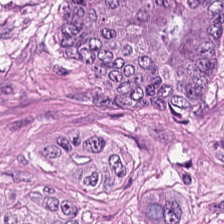Predominant tissue: colorectal adenocarcinoma.
